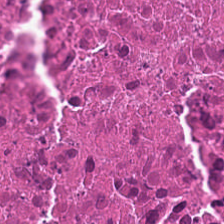Hematoxylin and eosin. This field is cellular debris.
